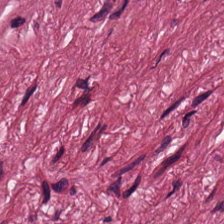0.5 µm per pixel; hematoxylin and eosin — Showing tumor-associated stroma.
